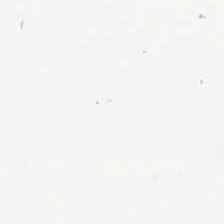Hematoxylin and eosin.
Q: Classify this patch.
A: Background.
